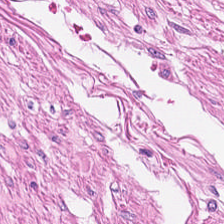Stain: H&E-stained tissue section.
Classification: smooth muscle.
